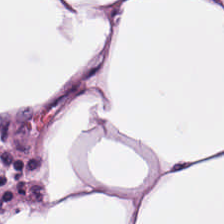H&E stain · FFPE — Showing adipocytes.
